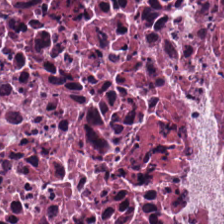H&E stain. {"tissue_type": "necrotic debris"}
